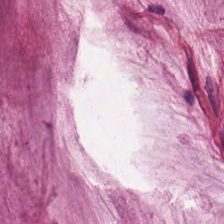Hematoxylin-and-eosin stained section.
Q: What is shown in this field?
A: Mucus.
